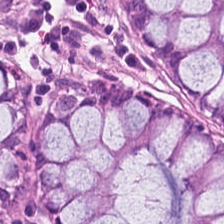Hematoxylin-and-eosin stained section · FFPE. Normal colon mucosa.
